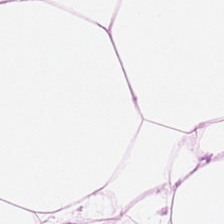Stain: H&E.
Tissue: adipose tissue.
